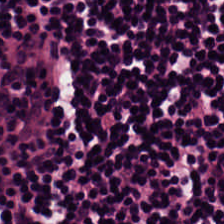H&E-stained tissue section · 20× equivalent magnification.
Classification: lymphocytes.
